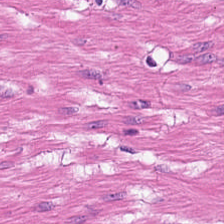Finding — smooth-muscle tissue.
